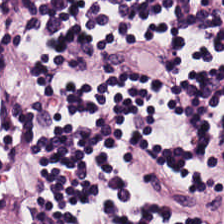The predominant tissue is lymphocytic infiltrate.
